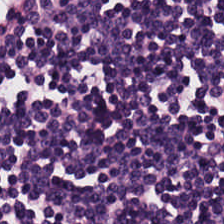H&E-stained tissue section.
This patch shows lymphocytic infiltrate.
